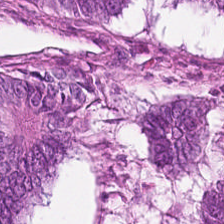Hematoxylin-and-eosin stained section · WSI patch — Tissue type — tumor epithelium.
